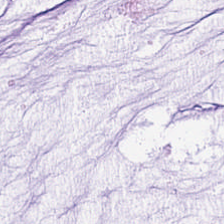Hematoxylin-and-eosin stained section — The tissue here is extracellular mucin.
